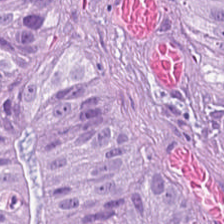H&E stain · brightfield · formalin-fixed paraffin-embedded section. Tissue class — adenocarcinoma.
